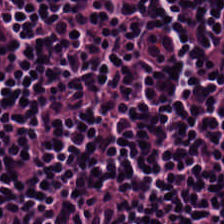H&E stain — Tissue type: lymphocytes.
